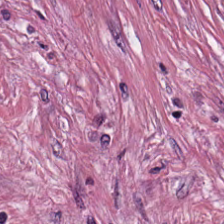H&E stain — Tissue type — tumor-associated stroma.
